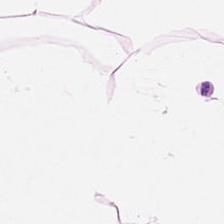Histology — adipocytes.
